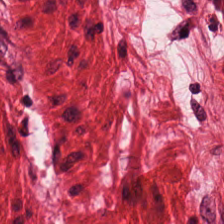H&E-stained tissue section. 224×224 pixel tile — Predominantly smooth-muscle tissue.
